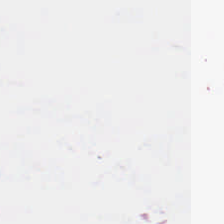Q: What is shown in this field?
A: This is no tissue.
